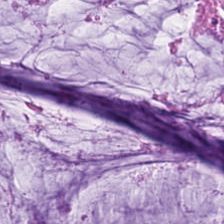Hematoxylin-and-eosin stained section.
This field is extracellular mucin.
